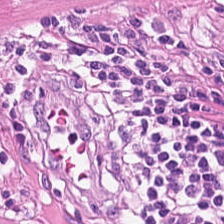Stain: H&E-stained tissue section.
Tissue: smooth muscle.
